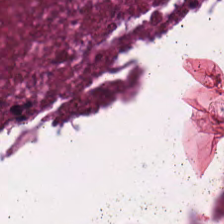H&E-stained tissue section showing necrotic debris.
